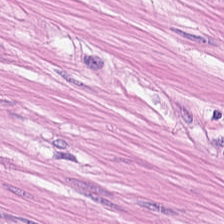Q: What tissue is shown?
A: The field shows smooth muscle.
